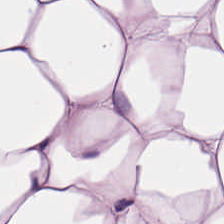Hematoxylin-and-eosin stained section; brightfield.
Fat tissue.
